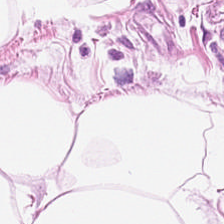Stain: H&E-stained tissue section.
Tissue class: fat tissue.
